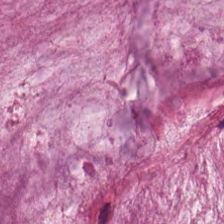H&E-stained tissue section. This field is mucin.
